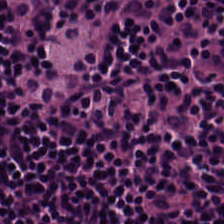{"tissue_type": "lymphoid infiltrate"}
